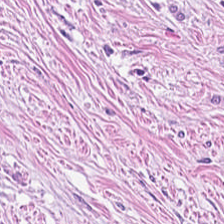FFPE tissue section; H&E-stained tissue section. {"tissue_type": "desmoplastic stroma"}
